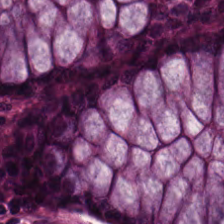20× equivalent magnification; hematoxylin and eosin. Histology → normal colonic mucosa.
